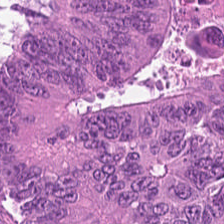Q: What tissue is shown?
A: Colorectal adenocarcinoma epithelium.
